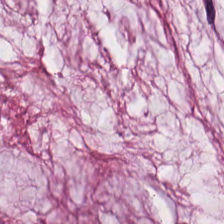H&E.
Predominant tissue = mucus.
